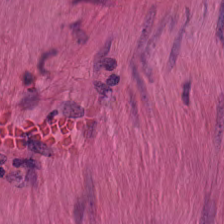Brightfield microscopy · 0.5 µm/px · H&E stain. The predominant tissue is smooth muscle.
